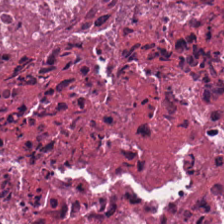H&E.
The tissue is cellular debris.
